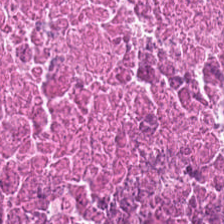Hematoxylin-and-eosin stained section — Tissue: necrotic debris.
